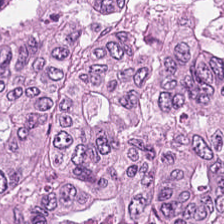Hematoxylin and eosin — This patch shows colorectal adenocarcinoma epithelium.
